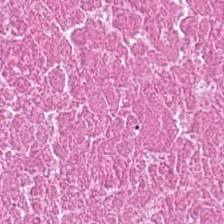H&E-stained tissue section; brightfield microscopy.
This field is necrotic debris.
